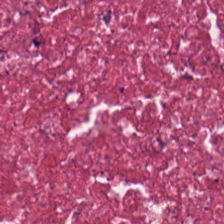Finding → cancer-associated stroma.
